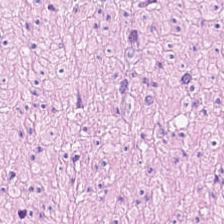Whole-slide-image patch · hematoxylin and eosin · 20× equivalent magnification. This patch shows smooth-muscle tissue.
